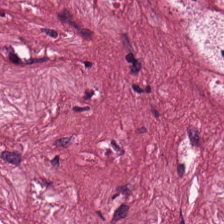H&E — tumor-associated stroma.
